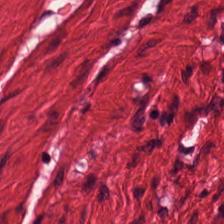224×224 px patch; 0.5 µm/px; hematoxylin and eosin.
{"tissue_type": "smooth muscle"}
